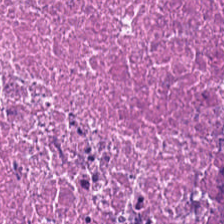Stain: hematoxylin and eosin.
Tissue: cellular debris.
